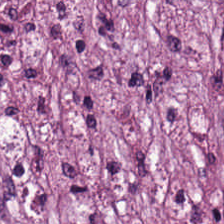H&E.
{"tissue_type": "cancer-associated stroma"}
